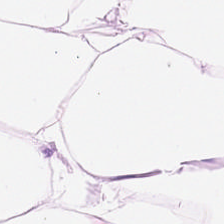H&E patch showing fat tissue.
